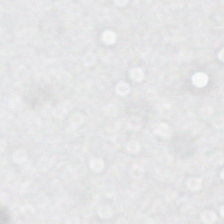H&E-stained tissue section.
This patch shows background (no tissue).
